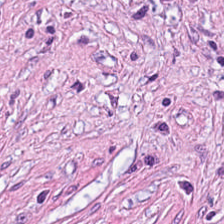Hematoxylin and eosin. The tissue here is tumor-associated stroma.
